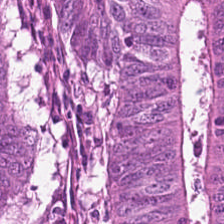The predominant tissue is colorectal adenocarcinoma epithelium.
